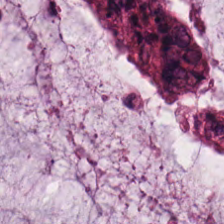H&E-stained tissue section.
The classification is mucus.
